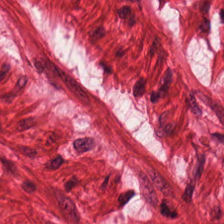Hematoxylin and eosin. Histology — smooth muscle.
